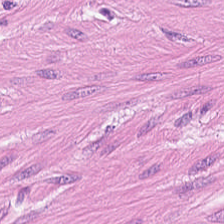WSI patch; H&E stain; 224×224 px patch — This patch shows smooth-muscle tissue.
